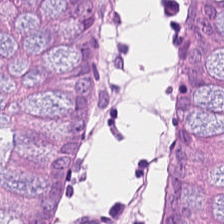Formalin-fixed paraffin-embedded section. 224×224 pixel tile. Hematoxylin-and-eosin stained section. The tissue class is normal colonic mucosa.
